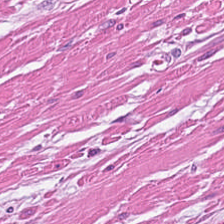Formalin-fixed paraffin-embedded section · hematoxylin-and-eosin stained section · 224×224 px patch.
The tissue here is smooth muscle.
